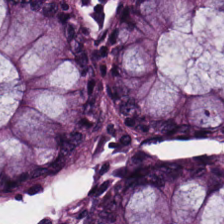20× equivalent magnification; formalin-fixed paraffin-embedded section; H&E-stained tissue section. The predominant tissue is normal colon mucosa.
